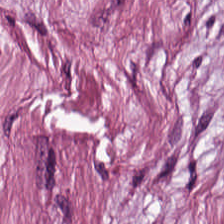H&E-stained tissue section · 0.5 µm/px.
Cancer-associated stroma.
